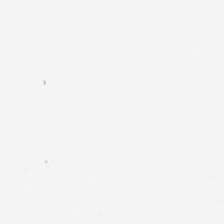20× equivalent magnification · 224×224 pixel tile · H&E-stained tissue section — Finding → background.
